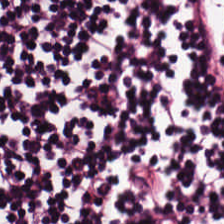The tissue is lymphoid infiltrate.
